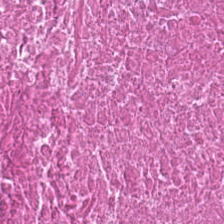H&E-stained tissue section — This field is necrotic debris.
